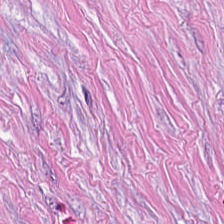FFPE · H&E-stained tissue section. The tissue type is cancer-associated stroma.
